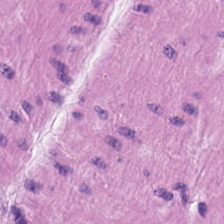Tissue class: smooth muscle.
